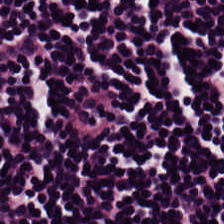FFPE; hematoxylin and eosin.
The tissue here is lymphocyte aggregate.
